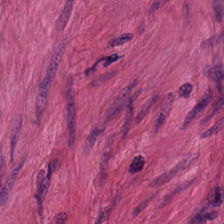224×224 px tile. H&E stain — {"tissue_type": "smooth-muscle tissue"}
